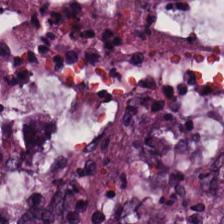Stain: hematoxylin-and-eosin stained section.
Predominant tissue: malignant epithelium.
